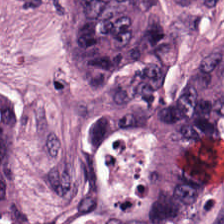Q: What tissue type is shown here?
A: Colorectal adenocarcinoma epithelium.
